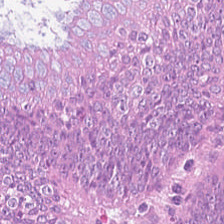Hematoxylin-and-eosin stained section. Q: What does this patch show?
A: Malignant epithelium.
